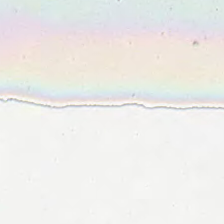0.5 µm/px; H&E; 224×224 px patch.
This patch shows background (no tissue).
